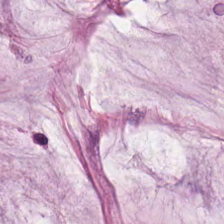Hematoxylin and eosin. 224×224 px tile. Predominant tissue — extracellular mucin.
